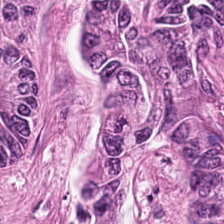224×224 px patch · 20× equivalent magnification · hematoxylin-and-eosin stained section. Tissue — adenocarcinoma.
